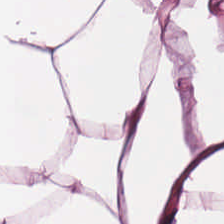Stain: H&E-stained tissue section.
Predominant tissue: adipose tissue.
